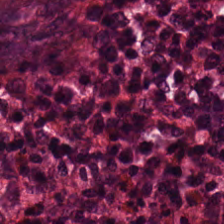WSI patch; 0.5 µm per pixel; hematoxylin and eosin — Showing benign colonic mucosa.
